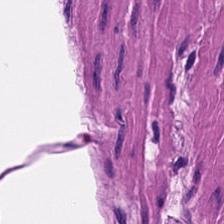H&E-stained tissue section — The predominant tissue is muscularis.
